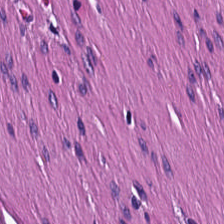Whole-slide-image patch. Hematoxylin-and-eosin stained section.
Tissue class: muscularis.
